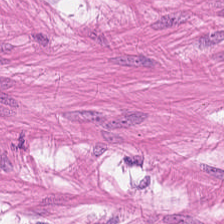FFPE. Hematoxylin and eosin. 0.5 µm per pixel — This field is smooth muscle.
